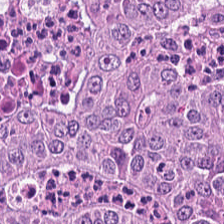H&E.
This patch shows adenocarcinoma.
